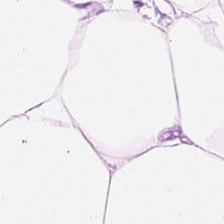Hematoxylin-and-eosin stained section — {"tissue_type": "adipose tissue"}
